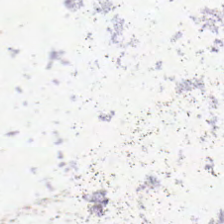Impression — no tissue.
